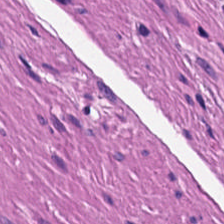FFPE tissue section. Brightfield microscopy. Hematoxylin-and-eosin stained section. Classification — smooth muscle.
